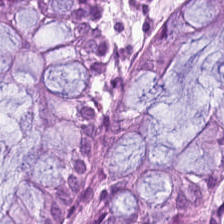Tissue class = normal colon mucosa.
